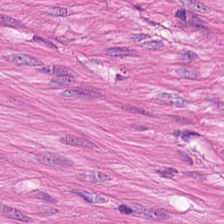Tissue class: smooth-muscle tissue.
